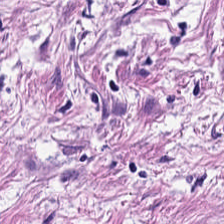H&E-stained tissue section. Tumor stroma.
